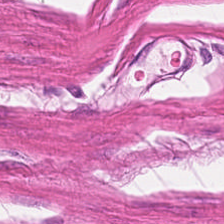Stain: H&E-stained tissue section.
Classification: smooth muscle.
